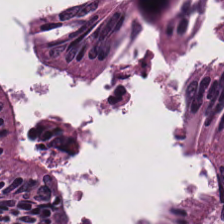224×224 pixel tile · H&E. Impression → tumor epithelium.
